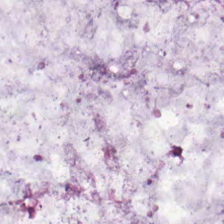H&E — This patch shows mucin.
